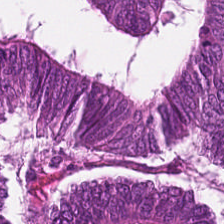The predominant tissue is colorectal adenocarcinoma epithelium.
